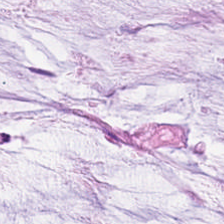224×224 px tile; H&E stain; 20× equivalent magnification. Predominant tissue: mucus.
